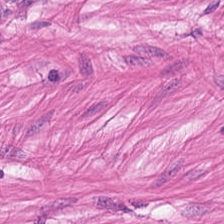Hematoxylin-and-eosin stained section. This patch shows muscularis.
